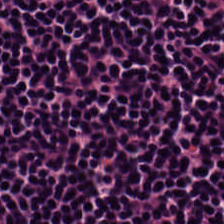H&E-stained tissue section; FFPE tissue section; 224×224 px patch.
Tissue type = lymphocytes.
